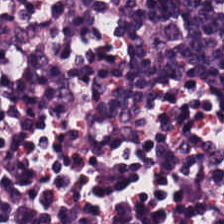H&E stain · FFPE tissue section · 224×224 pixel tile.
Q: What is shown in this field?
A: Lymphocytic infiltrate.
